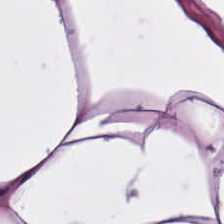Stain: H&E stain.
Classification: fat tissue.
